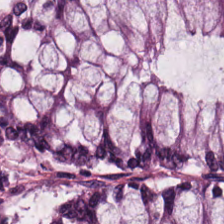This field is normal colon mucosa.
